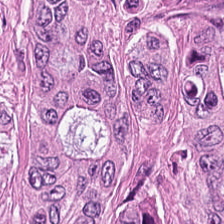H&E-stained tissue section · brightfield — Q: Classify this patch.
A: It is tumor epithelium.
